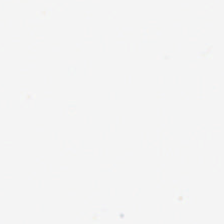FFPE · hematoxylin-and-eosin stained section · brightfield — This field is background (no tissue).
